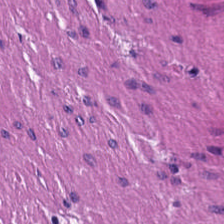WSI patch · H&E. This patch shows muscularis.
